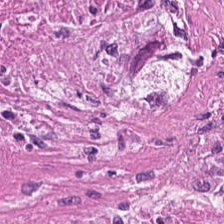H&E stain.
Q: Classify this patch.
A: Necrotic debris.
